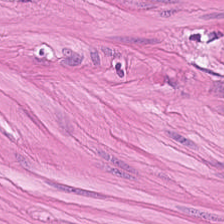H&E. Predominant tissue: smooth-muscle tissue.
